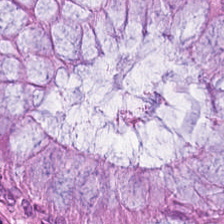H&E stain. FFPE tissue section — The predominant tissue is benign colonic mucosa.
